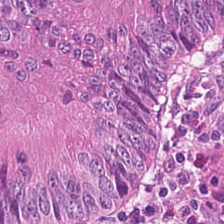FFPE tissue section; H&E. Predominantly colorectal adenocarcinoma.
